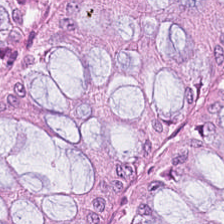Hematoxylin-and-eosin section: normal colonic mucosa.
